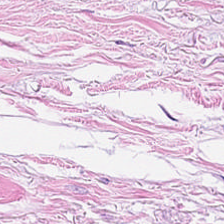20× equivalent magnification. Hematoxylin-and-eosin stained section — This field is tumor-associated stroma.
